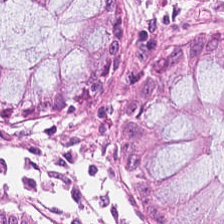Stain: hematoxylin-and-eosin stained section.
Predominant tissue: benign colonic mucosa.
